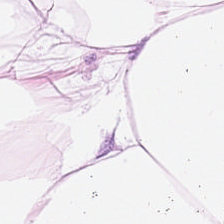The tissue is fat tissue.
